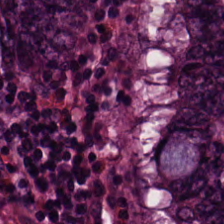H&E. Whole-slide-image patch. Impression → tumor epithelium.
